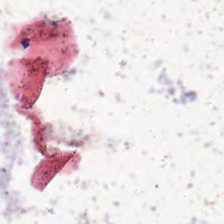Classification: no tissue.
